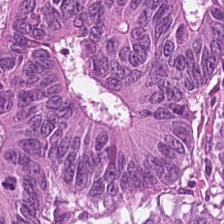Hematoxylin and eosin. Brightfield microscopy. Formalin-fixed paraffin-embedded section.
Tissue class = colorectal adenocarcinoma epithelium.
